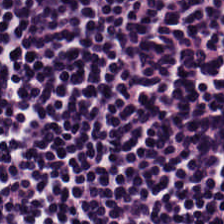Histology → lymphocytes.
